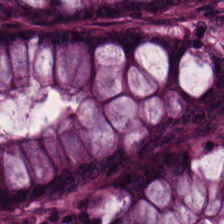Impression — normal colon mucosa.
